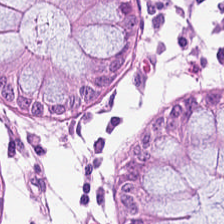H&E stain — The tissue is benign colonic mucosa.
